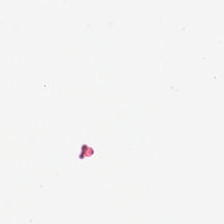Finding → no tissue.
